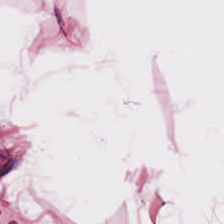H&E stain; brightfield; formalin-fixed paraffin-embedded section — Tissue = fat tissue.
